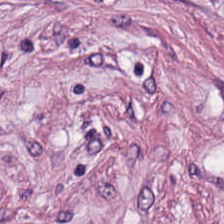Stain: H&E.
Tissue class: desmoplastic stroma.
